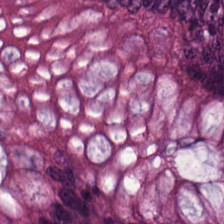224×224 pixel tile; formalin-fixed paraffin-embedded section; H&E-stained tissue section — Q: Identify the tissue.
A: It is non-neoplastic colon mucosa.
